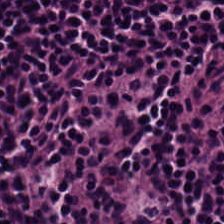Brightfield microscopy · hematoxylin-and-eosin stained section · FFPE — Finding — lymphocyte aggregate.
